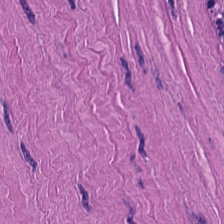Tissue type = muscularis.
